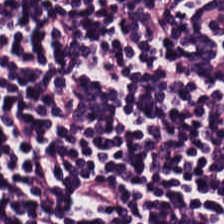Predominantly lymphoid infiltrate.
